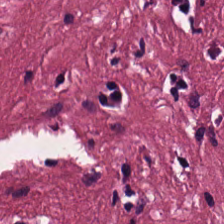H&E-stained tissue section. Tumor stroma.
